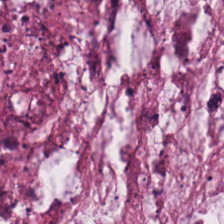H&E stain. {"tissue_type": "mucin"}
